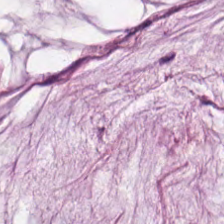224×224 px patch. Hematoxylin and eosin — Q: What tissue type is shown here?
A: This is extracellular mucin.
